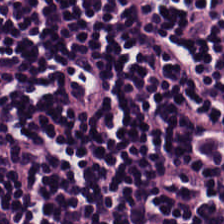H&E-stained tissue section. Predominant tissue = lymphocytes.
